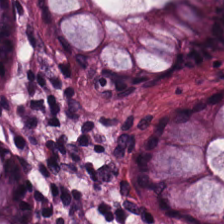The classification is non-neoplastic colon mucosa.
